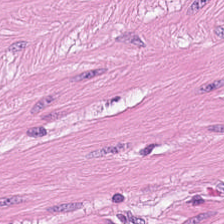Hematoxylin and eosin — {"tissue_type": "smooth muscle"}
